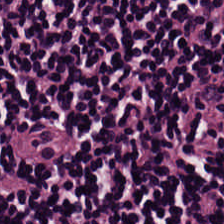H&E.
This patch shows lymphocytic infiltrate.
